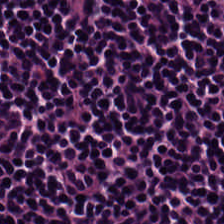H&E-stained tissue section showing lymphocytes.
